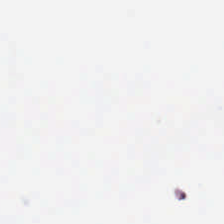H&E stain — {"content": "empty background"}
